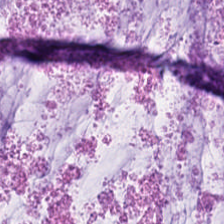Stain: hematoxylin and eosin.
Tissue type: mucin.
